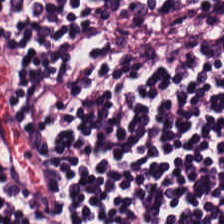Hematoxylin-and-eosin section: lymphocyte aggregate.
